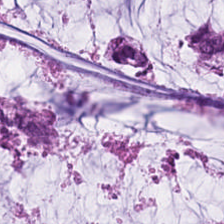H&E stain — Tissue — mucus.
